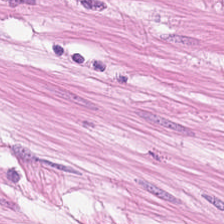H&E-stained tissue section — Finding — muscularis.
